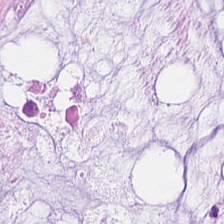{"tissue_type": "mucin"}
